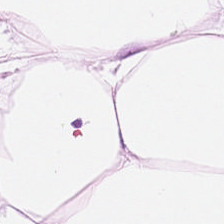The predominant tissue is adipose tissue.
